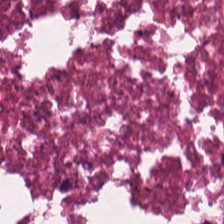H&E stain — Tissue class — necrotic debris.
